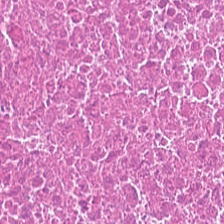Hematoxylin-and-eosin stained section. 0.5 µm/px. Brightfield. Tissue = debris.
